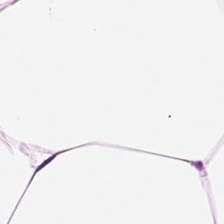Classification — adipose.
